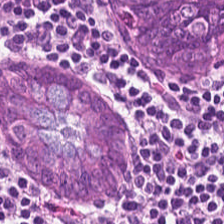Hematoxylin-and-eosin stained section.
Q: What does this patch show?
A: The field shows non-neoplastic colon mucosa.
